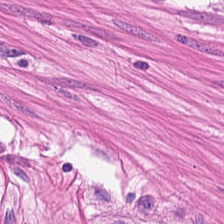Hematoxylin-and-eosin stained section. Tissue: smooth-muscle tissue.
